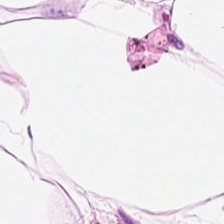FFPE. 224×224 pixel tile. Hematoxylin and eosin.
Q: What type of tissue is this?
A: Adipocytes.
